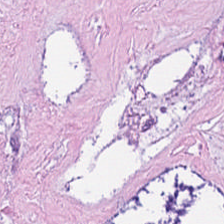Hematoxylin and eosin — Impression → cellular debris.
